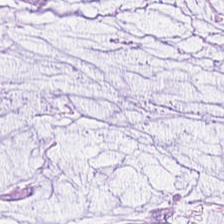H&E stain. Showing mucus.
